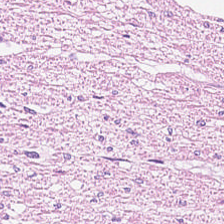Tissue type: muscularis.
